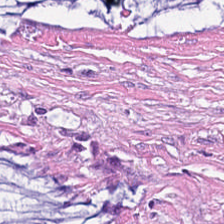FFPE. Whole-slide-image patch. Hematoxylin-and-eosin stained section — {"tissue_type": "tumor stroma"}
